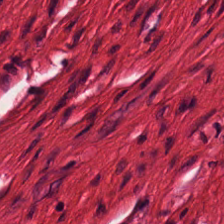Hematoxylin-and-eosin stained section — Q: What tissue type is shown here?
A: This is muscularis.
